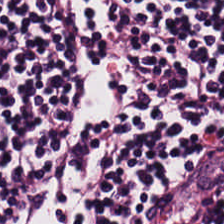Tissue type: lymphoid infiltrate.
